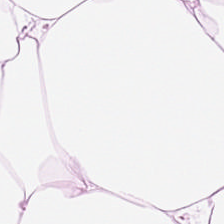H&E-stained tissue section; 224×224 pixel tile — Q: Classify this patch.
A: Adipocytes.
